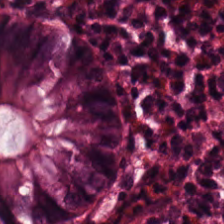Hematoxylin-and-eosin stained section.
The tissue here is non-neoplastic colon mucosa.
